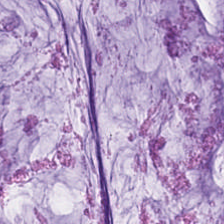H&E stain · whole-slide-image patch — Tissue type = mucin.
